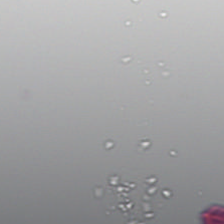H&E stain. Formalin-fixed paraffin-embedded section. No tissue present; background only.
